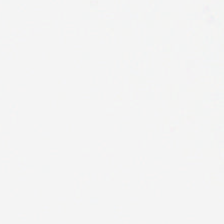Empty field — background.
